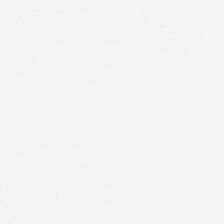H&E-stained tissue section — Content: empty background.
